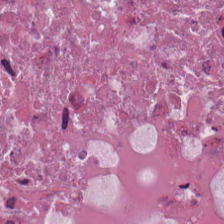Hematoxylin and eosin.
Histology — necrotic debris.
